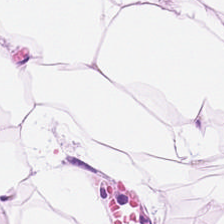H&E-stained tissue section.
Histology → fat tissue.
